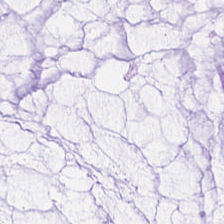0.5 µm per pixel · hematoxylin and eosin — Predominant tissue = mucus.
